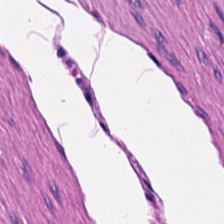FFPE · hematoxylin-and-eosin stained section. Predominantly smooth muscle.
